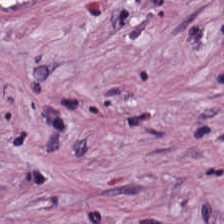Finding — cancer-associated stroma.
